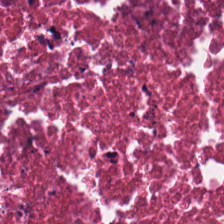H&E — Q: What does this patch show?
A: This is cellular debris.
